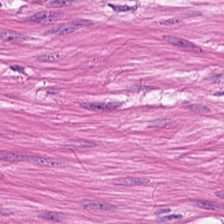224×224 px patch; hematoxylin-and-eosin stained section. The tissue class is muscularis.
